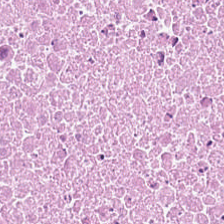H&E.
Predominant tissue — cellular debris.
